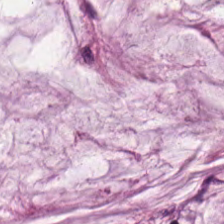H&E. Showing mucus.
